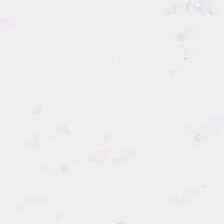Brightfield. H&E-stained tissue section. FFPE.
Q: Classify this patch.
A: It is empty background.
